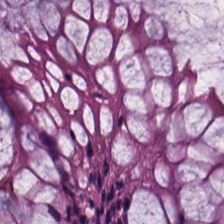H&E. Q: Identify the tissue.
A: This is normal colonic mucosa.
